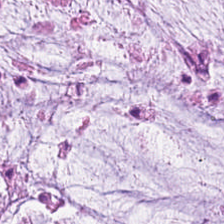Hematoxylin-and-eosin stained section. The tissue here is extracellular mucin.
